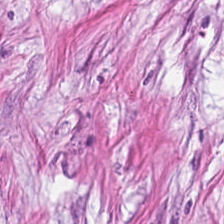H&E-stained tissue section.
Finding — tumor-associated stroma.
